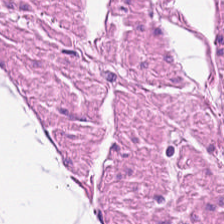Stain: H&E stain.
Resolution: 20× equivalent magnification.
Tissue class: smooth-muscle tissue.
